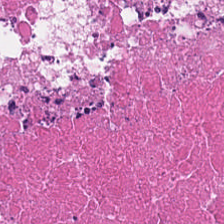Hematoxylin and eosin. This patch shows necrotic debris.
